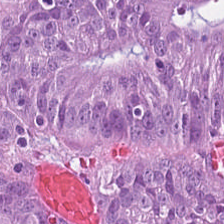224×224 pixel tile; hematoxylin and eosin; 20× equivalent magnification.
This patch shows colorectal adenocarcinoma.
